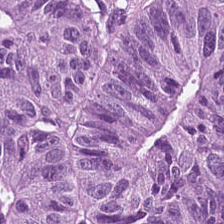H&E — The predominant tissue is adenocarcinoma.
